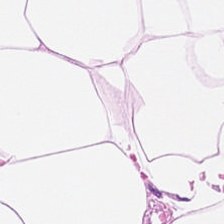Stain: H&E stain.
Acquisition: WSI patch.
Tissue class: adipose.
